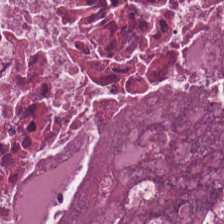The tissue type is necrotic debris.
